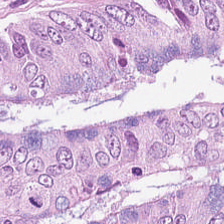Showing colorectal adenocarcinoma epithelium.
